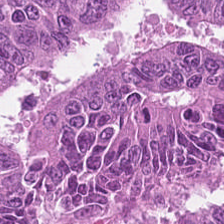H&E-stained section; the field shows malignant epithelium.
